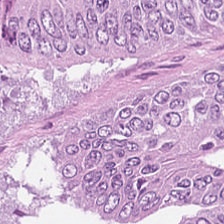0.5 µm per pixel · H&E · 224×224 px tile.
Tissue type = colorectal adenocarcinoma.
